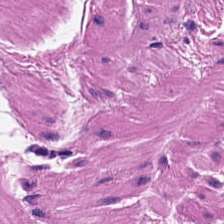FFPE tissue section · hematoxylin-and-eosin stained section. Predominantly smooth-muscle tissue.
